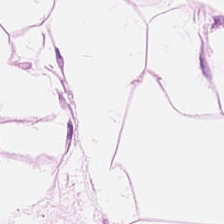H&E — The predominant tissue is adipocytes.
